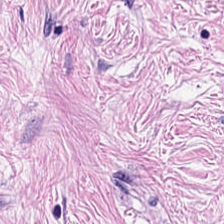Hematoxylin-and-eosin stained section · 224×224 px patch. Tissue class = desmoplastic stroma.
